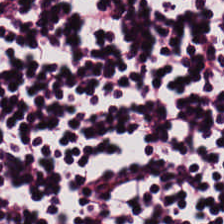H&E stain — Impression — lymphocyte aggregate.
